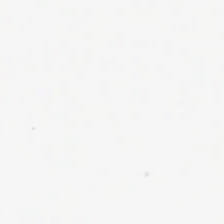Hematoxylin-and-eosin stained section — Q: What is shown here?
A: Empty background.
